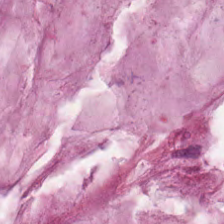Hematoxylin-and-eosin stained section.
Classification — mucus.
